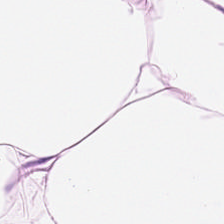Q: What is shown here?
A: Fat tissue.
